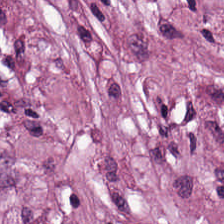H&E-stained tissue section. Showing desmoplastic stroma.
